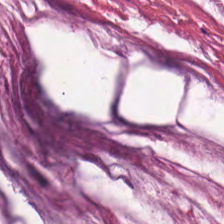Predominantly mucin.
